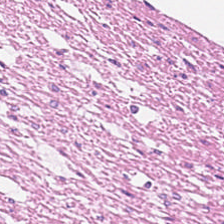Stain: H&E.
Tissue type: smooth-muscle tissue.
